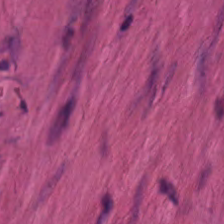FFPE; 0.5 µm/px; hematoxylin-and-eosin stained section.
Q: What type of tissue is this?
A: The field shows smooth-muscle tissue.
